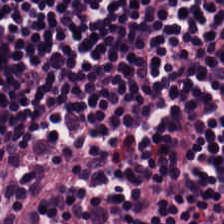H&E stain. Showing lymphocytic infiltrate.
